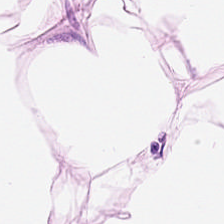Formalin-fixed paraffin-embedded section · hematoxylin-and-eosin stained section. Classification — adipocytes.
